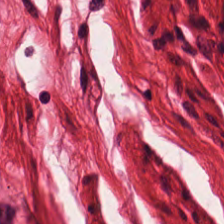Hematoxylin and eosin. Showing smooth-muscle tissue.
